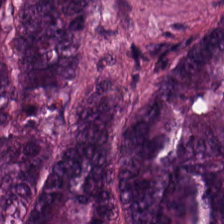Hematoxylin-and-eosin stained section — Q: Identify the tissue.
A: Adenocarcinoma.
